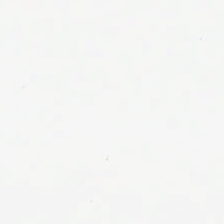224×224 pixel tile; H&E stain.
Content — no tissue.
